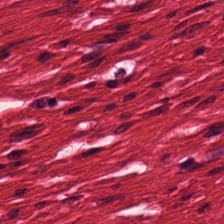H&E stain; 224×224 px patch.
The tissue here is muscularis.
